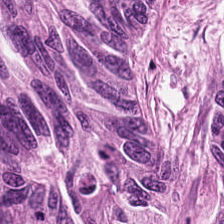H&E — colorectal adenocarcinoma epithelium.
